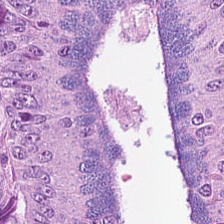Hematoxylin and eosin — Q: What is the predominant tissue type?
A: This is adenocarcinoma.
